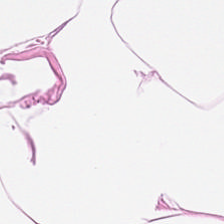Hematoxylin-and-eosin stained section; 224×224 pixel tile; WSI patch — Impression → adipose tissue.
